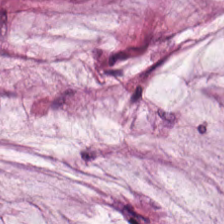H&E stain. Mucin.
